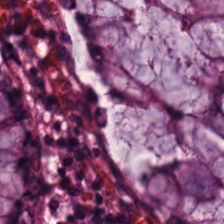H&E stain — Classification — normal colon mucosa.
